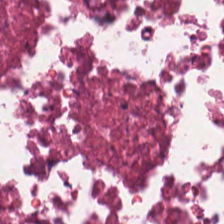H&E-stained tissue section; 224×224 pixel tile — Histology → cellular debris.
